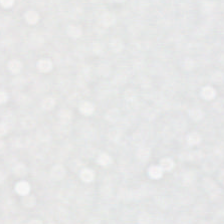H&E stain — Content: empty background.
